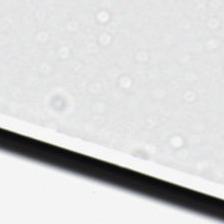Stain: hematoxylin and eosin.
Acquisition: whole-slide-image patch.
Classification: no tissue.
